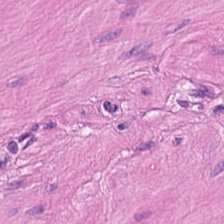Stain: H&E.
Resolution: 0.5 microns per pixel.
Tissue class: smooth-muscle tissue.
